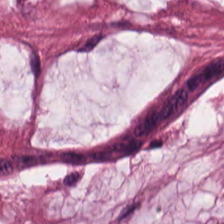224×224 pixel tile · 20× equivalent magnification · H&E-stained tissue section.
Q: Identify the tissue.
A: It is mucus.
